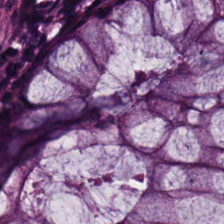Brightfield · hematoxylin and eosin · 224×224 px patch — Benign colonic mucosa.
